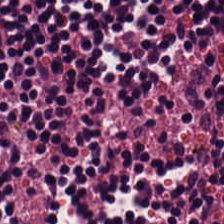Stain: H&E.
Acquisition: brightfield.
Resolution: 0.5 µm per pixel.
Predominant tissue: lymphocytes.
